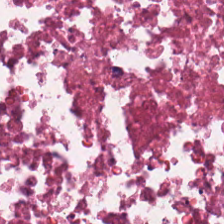Brightfield; H&E.
Showing cellular debris.
